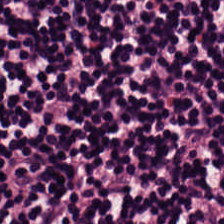H&E — lymphocytic infiltrate.
